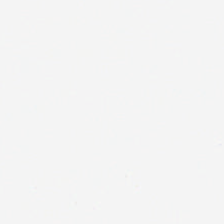Empty field — background.
